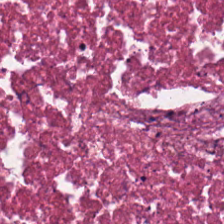H&E-stained tissue section · 224×224 px tile.
Q: What does this patch show?
A: The field shows cellular debris.
